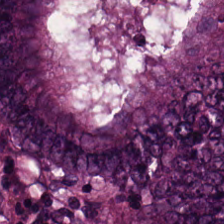Hematoxylin-and-eosin stained section — This patch shows colorectal adenocarcinoma.
